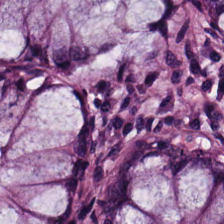H&E-stained tissue section showing normal colon mucosa.
